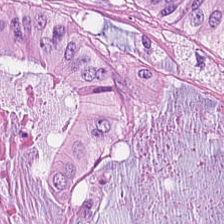Q: What is shown here?
A: It is adenocarcinoma.
